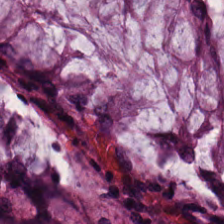Stain: H&E.
Classification: normal colonic mucosa.
